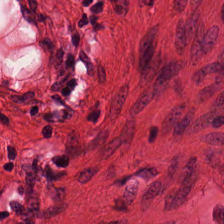H&E; brightfield microscopy.
Q: What tissue type is shown here?
A: The field shows smooth-muscle tissue.
